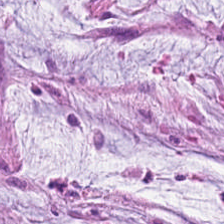Tissue type: mucus.
